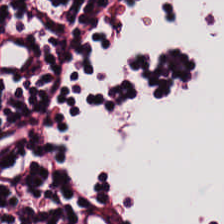H&E stain.
Predominantly lymphocytes.
